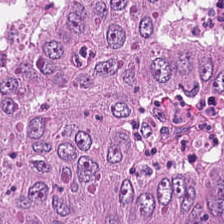0.5 microns per pixel · hematoxylin and eosin. Q: What is the predominant tissue type?
A: This is colorectal adenocarcinoma.
